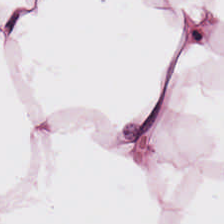H&E-stained section; the field shows fat tissue.
